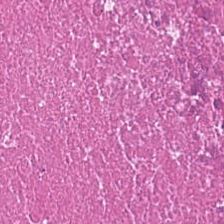Hematoxylin-and-eosin stained section.
Classification = debris.
